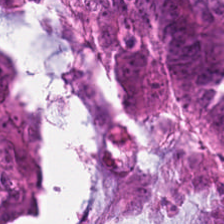Hematoxylin and eosin — Histology → tumor epithelium.
